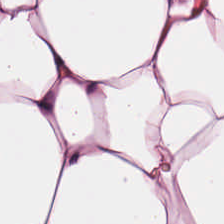WSI patch. H&E — Showing adipose tissue.
